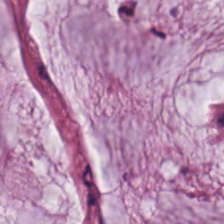This patch shows mucin.
